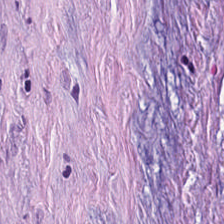H&E. Showing desmoplastic stroma.
